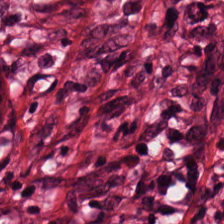Finding → tumor stroma.
